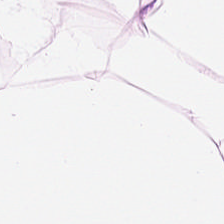224×224 px patch · hematoxylin-and-eosin stained section.
{"tissue_type": "fat tissue"}
